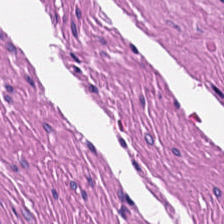Histology → smooth-muscle tissue.
